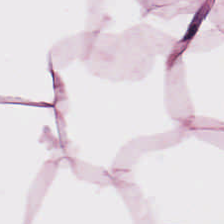The tissue here is adipocytes.
